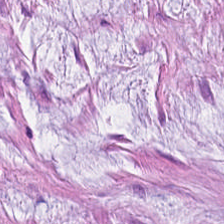FFPE tissue section; whole-slide-image patch; hematoxylin and eosin. Predominant tissue — mucus.
